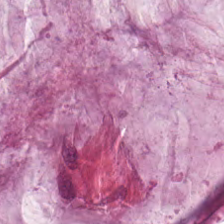224×224 px patch · formalin-fixed paraffin-embedded section · H&E.
Classification: mucin.
